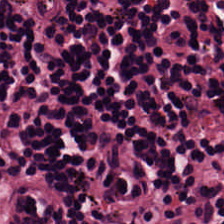H&E.
Lymphoid infiltrate.
